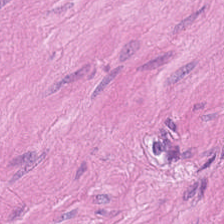H&E; FFPE.
The tissue type is smooth muscle.
